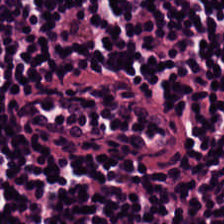Hematoxylin-and-eosin section: lymphocyte aggregate.
